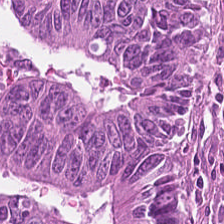Showing colorectal adenocarcinoma.
